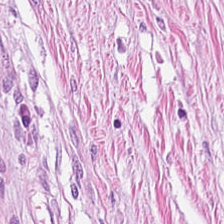Hematoxylin and eosin. 224×224 px tile. Predominantly tumor-associated stroma.
